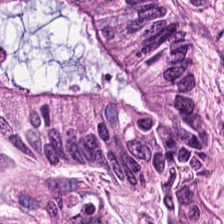H&E-stained section; the field shows malignant epithelium.
